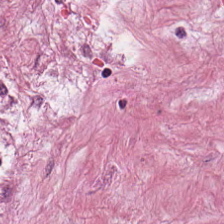H&E — tumor stroma.
